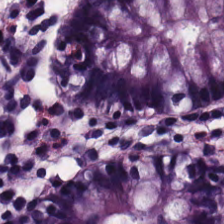H&E — Tissue class — benign colonic mucosa.
